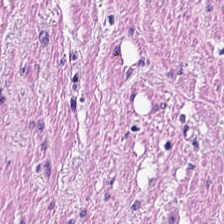Finding → smooth-muscle tissue.
